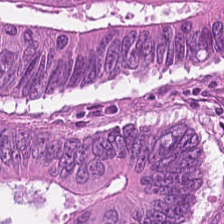WSI patch. H&E stain. 224×224 px patch — Q: What type of tissue is this?
A: It is colorectal adenocarcinoma.
